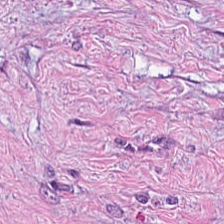Hematoxylin and eosin — Tumor stroma.
